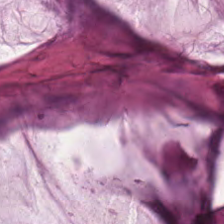0.5 µm/px · 224×224 px patch · H&E stain — Predominant tissue = mucus.
